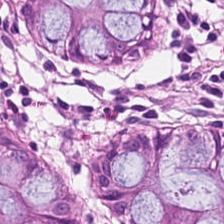WSI patch · H&E stain. Histology — benign colonic mucosa.
